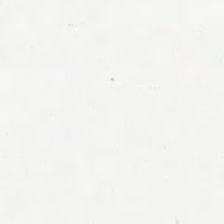Empty field — no tissue.
